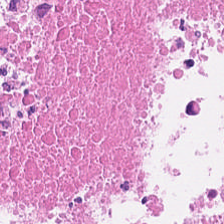H&E stain · brightfield · 20× equivalent magnification — Histology — cellular debris.
